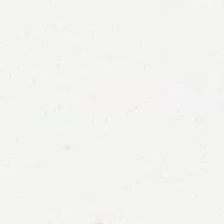H&E — {"content": "no tissue"}
